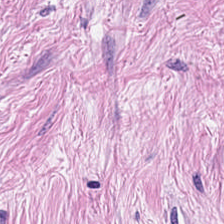H&E stain. 224×224 px patch. WSI patch — Showing tumor-associated stroma.
